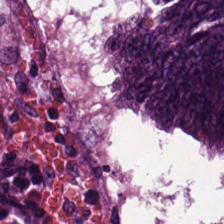Hematoxylin and eosin. WSI patch.
Q: Classify this patch.
A: The field shows adenocarcinoma.
